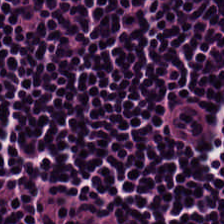H&E stain.
This patch shows lymphocyte aggregate.
